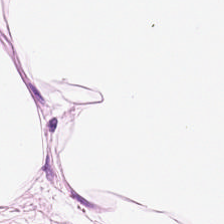Hematoxylin-and-eosin section: adipose.
